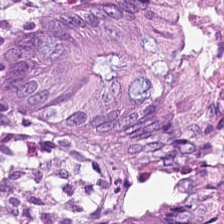H&E stain — Non-neoplastic colon mucosa.
